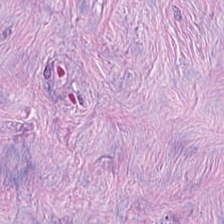H&E. Formalin-fixed paraffin-embedded section. WSI patch.
{"tissue_type": "cancer-associated stroma"}
